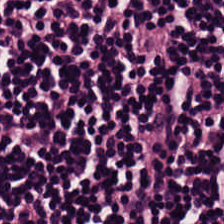224×224 pixel tile. H&E.
{"tissue_type": "lymphoid infiltrate"}
